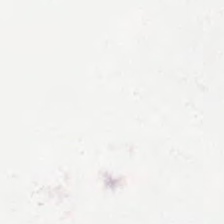224×224 px tile. H&E stain. Formalin-fixed paraffin-embedded section. Background — no tissue in this field.
